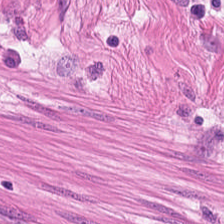Q: What type of tissue is this?
A: It is smooth muscle.
